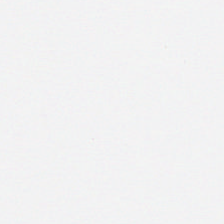H&E; 20× equivalent magnification — Empty field — no tissue.
